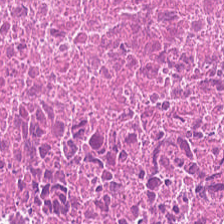Brightfield · H&E stain · FFPE tissue section — Predominantly debris.
